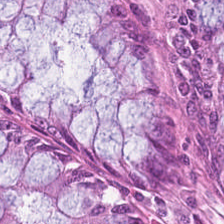Q: What tissue is shown?
A: Non-neoplastic colon mucosa.
